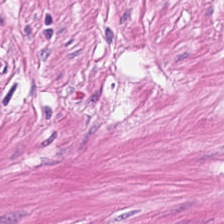H&E stain — The tissue class is smooth muscle.
